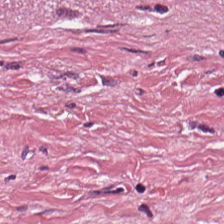224×224 px tile · FFPE · H&E.
Predominantly tumor stroma.
